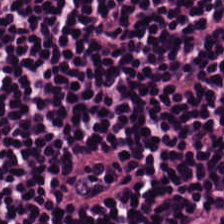0.5 microns per pixel · hematoxylin and eosin. {"tissue_type": "lymphocyte aggregate"}
